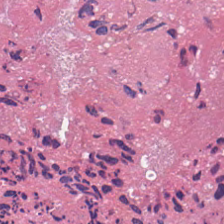Classification: debris.
